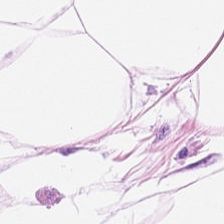224×224 px patch. Formalin-fixed paraffin-embedded section. H&E-stained tissue section — Predominantly adipose.
